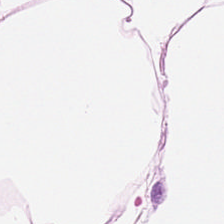H&E-stained tissue section.
Classification — adipose tissue.
